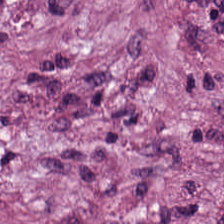H&E-stained tissue section. Brightfield microscopy.
Showing desmoplastic stroma.
